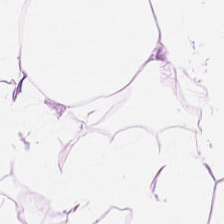FFPE. H&E stain — This field is fat tissue.
